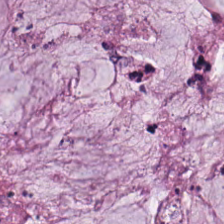Formalin-fixed paraffin-embedded section; hematoxylin and eosin. Finding — mucin.
